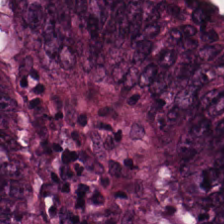Q: What type of tissue is this?
A: Tumor epithelium.
